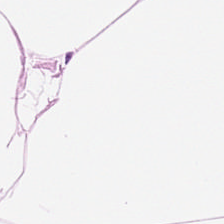H&E · 0.5 µm per pixel.
The classification is adipose.
